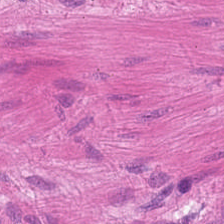Predominantly smooth-muscle tissue.
